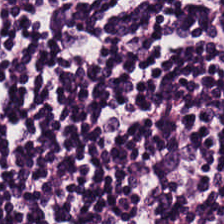Stain: H&E-stained tissue section.
Predominant tissue: lymphoid infiltrate.
